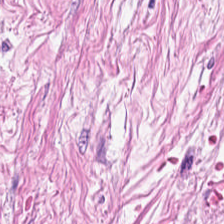H&E-stained tissue section — The predominant tissue is tumor stroma.
